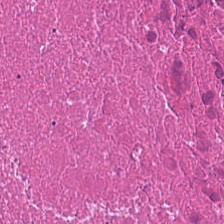Hematoxylin and eosin.
Tissue: debris.
